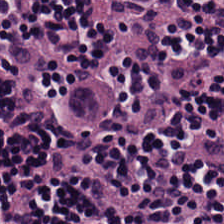Stain: hematoxylin and eosin.
Classification: lymphocytes.
